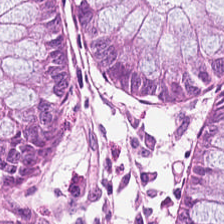224×224 pixel tile; H&E-stained tissue section. Classification: normal colonic mucosa.
